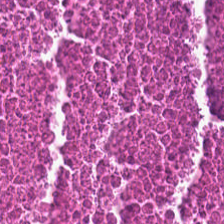Hematoxylin-and-eosin stained section.
The tissue here is debris.
